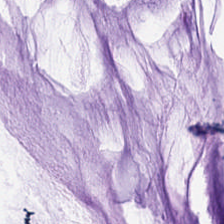Hematoxylin-and-eosin stained section; FFPE; 20× equivalent magnification. Tissue = mucus.
